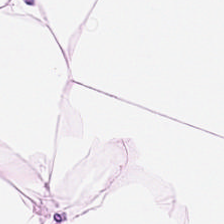{"tissue_type": "fat tissue"}
